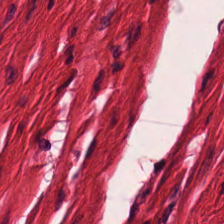H&E. {"tissue_type": "smooth-muscle tissue"}
